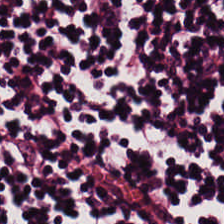WSI patch; hematoxylin and eosin. The tissue here is lymphoid infiltrate.
